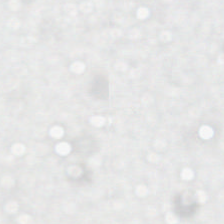H&E.
The field content is background (no tissue).
